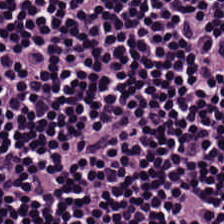0.5 µm/px; hematoxylin and eosin — Q: What does this patch show?
A: This is lymphocyte aggregate.
